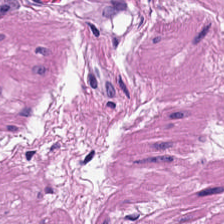H&E stain — Smooth muscle.
